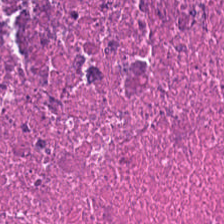Debris.
